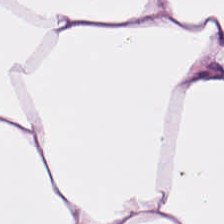H&E stain — {"tissue_type": "fat tissue"}
